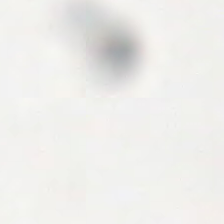Brightfield. Hematoxylin and eosin.
{"content": "background (no tissue)"}
